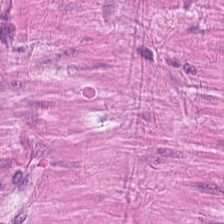Stain: hematoxylin and eosin.
Tissue class: muscularis.
